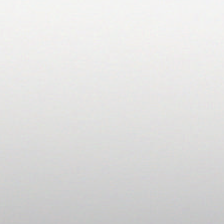H&E stain. 0.5 µm per pixel. This field is background (no tissue).
